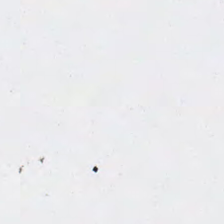Brightfield · H&E · 224×224 pixel tile — No tissue present; background only.
